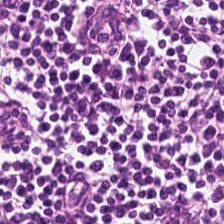H&E-stained tissue section. Tissue: lymphocytic infiltrate.
